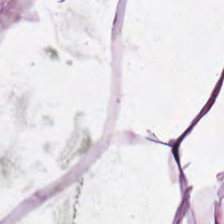H&E stain.
Q: What type of tissue is this?
A: It is adipocytes.
